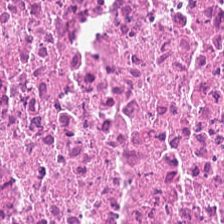H&E stain.
Q: What is shown in this field?
A: The field shows debris.
